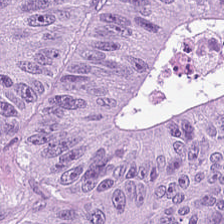H&E stain. 224×224 pixel tile. Classification — adenocarcinoma.
